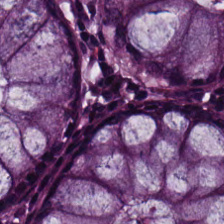The tissue class is normal colonic mucosa.
